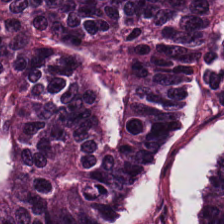Stain: H&E.
Preparation: FFPE tissue section.
Classification: colorectal adenocarcinoma.
